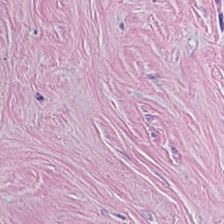Hematoxylin-and-eosin stained section. The predominant tissue is tumor stroma.
